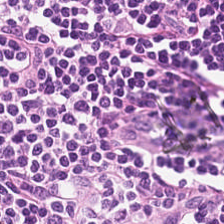Hematoxylin-and-eosin stained section · 0.5 microns per pixel.
Predominantly lymphoid infiltrate.
